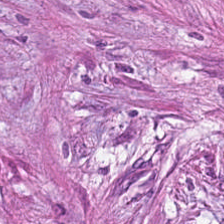Hematoxylin and eosin — This field is tumor stroma.
